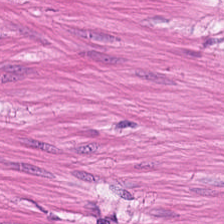Hematoxylin-and-eosin stained section. This field is muscularis.
